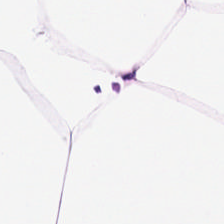H&E. Q: What is shown in this field?
A: The field shows fat tissue.
